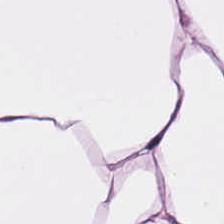H&E stain — Showing adipose.
